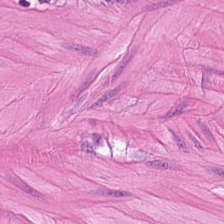Stain: H&E.
Tissue class: smooth muscle.
